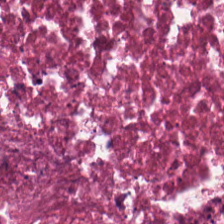H&E-stained tissue section · 224×224 px patch — The predominant tissue is debris.
